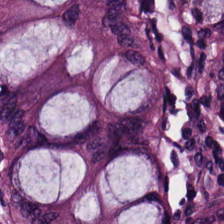Hematoxylin and eosin — Histology → benign colonic mucosa.
